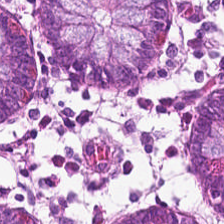H&E. FFPE.
This field is normal colonic mucosa.
